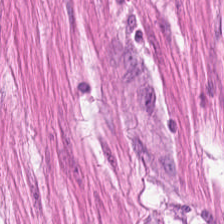Hematoxylin and eosin · brightfield microscopy — This patch shows smooth-muscle tissue.
